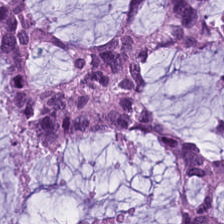Hematoxylin-and-eosin stained section · 224×224 px tile. The tissue here is extracellular mucin.
